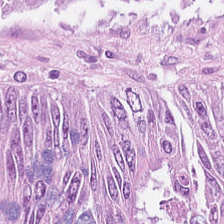H&E.
Q: What is the predominant tissue type?
A: The field shows colorectal adenocarcinoma epithelium.
